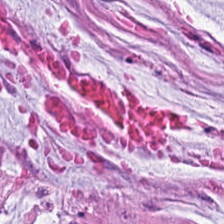Predominant tissue: mucus.
